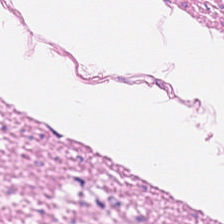Stain: H&E-stained tissue section.
Classification: muscularis.
